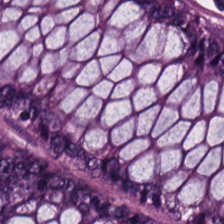Whole-slide-image patch; hematoxylin and eosin. Benign colonic mucosa.
